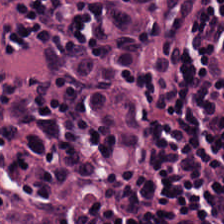FFPE; 0.5 microns per pixel; hematoxylin-and-eosin stained section. Predominant tissue = lymphocyte aggregate.
